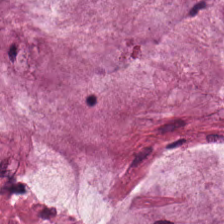H&E-stained tissue section; FFPE tissue section — Tissue = extracellular mucin.
